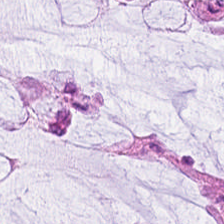Stain: H&E stain.
Tissue class: normal colon mucosa.
